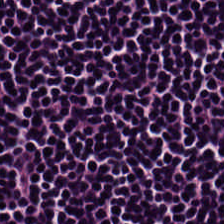224×224 pixel tile · WSI patch · hematoxylin-and-eosin stained section.
This patch shows lymphoid infiltrate.
